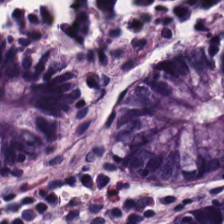FFPE · H&E stain.
Q: What tissue type is shown here?
A: The field shows normal colonic mucosa.
